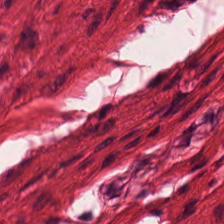0.5 µm/px; hematoxylin-and-eosin stained section — Tissue — smooth-muscle tissue.
